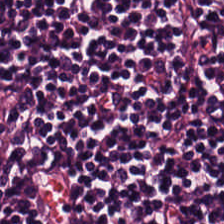224×224 px patch; H&E stain — Q: Classify this patch.
A: Lymphoid infiltrate.
